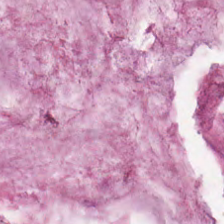0.5 µm per pixel; 224×224 pixel tile; hematoxylin and eosin. The tissue here is extracellular mucin.
